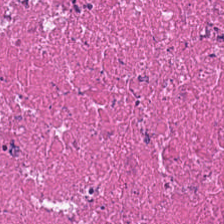FFPE; H&E-stained tissue section.
The tissue type is debris.
